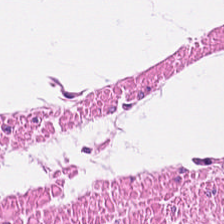Whole-slide-image patch; FFPE; hematoxylin-and-eosin stained section. Classification — smooth muscle.
